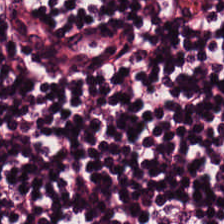Whole-slide-image patch · hematoxylin-and-eosin stained section — The tissue here is lymphocytes.
